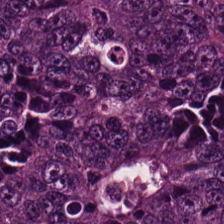H&E-stained tissue section. Tissue type: colorectal adenocarcinoma epithelium.
